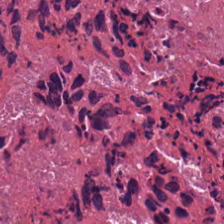0.5 µm/px. Hematoxylin-and-eosin stained section — Necrotic debris.
